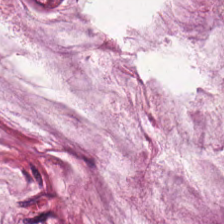This field is mucin.
